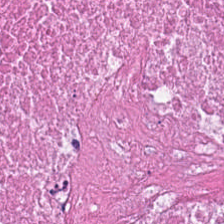Hematoxylin and eosin.
{"tissue_type": "debris"}
